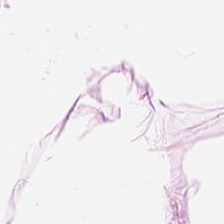20× equivalent magnification. Brightfield. Hematoxylin and eosin. Tissue = adipose tissue.
